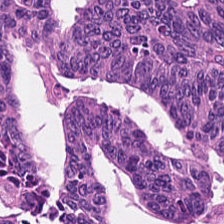Hematoxylin and eosin. 224×224 pixel tile. Q: What type of tissue is this?
A: This is colorectal adenocarcinoma.
